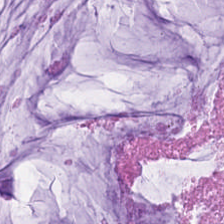Stain: hematoxylin-and-eosin stained section.
Tissue class: extracellular mucin.
